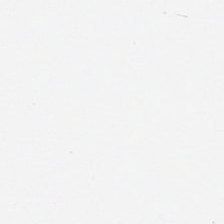Stain: H&E stain.
Tile size: 224×224 px patch.
Tissue class: adipocytes.
